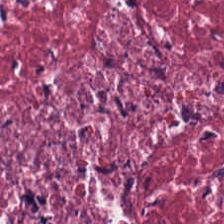Desmoplastic stroma.
